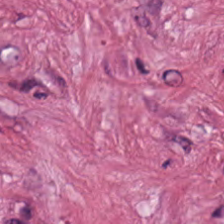Finding — cancer-associated stroma.
